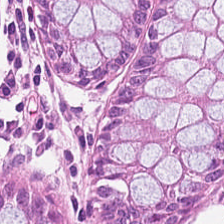H&E stain.
Tissue — non-neoplastic colon mucosa.
